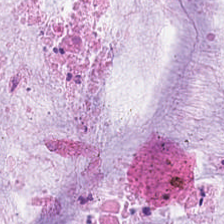Q: What is shown here?
A: This is mucin.
